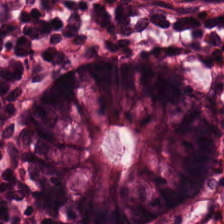Tissue type — non-neoplastic colon mucosa.
